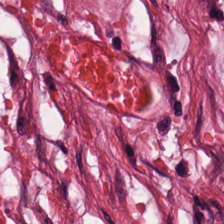Whole-slide-image patch · H&E stain · 224×224 pixel tile.
Finding → desmoplastic stroma.
